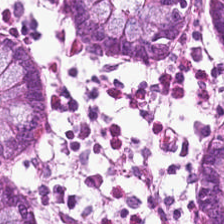Hematoxylin and eosin. Classification = non-neoplastic colon mucosa.
